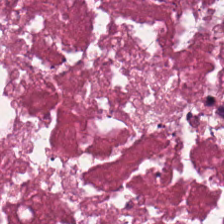Q: What type of tissue is this?
A: This is cellular debris.
